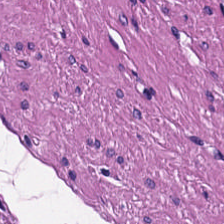Hematoxylin and eosin — The tissue here is smooth muscle.
